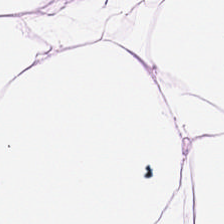Histology → adipocytes.
